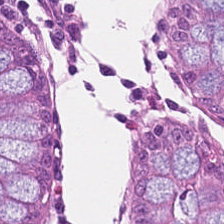224×224 px tile. Hematoxylin and eosin.
Impression — non-neoplastic colon mucosa.
